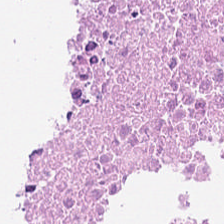WSI patch; H&E — Q: What is the predominant tissue type?
A: The field shows debris.
